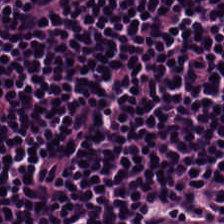Hematoxylin-and-eosin stained section — The tissue is lymphoid infiltrate.
